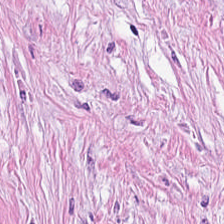The classification is tumor stroma.
